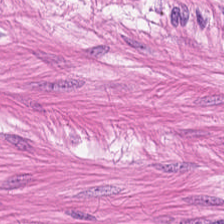H&E-stained tissue section. Predominant tissue = smooth-muscle tissue.
